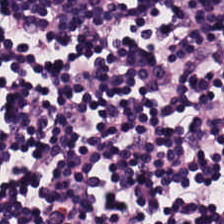Formalin-fixed paraffin-embedded section. Hematoxylin and eosin — Q: Identify the tissue.
A: It is lymphocytic infiltrate.
